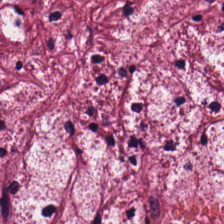Stain: H&E.
Resolution: 0.5 microns per pixel.
Tile size: 224×224 pixel tile.
Predominant tissue: desmoplastic stroma.
